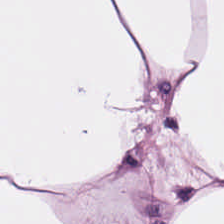H&E-stained tissue section. This field is fat tissue.
